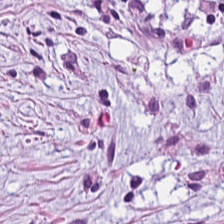Impression — desmoplastic stroma.
